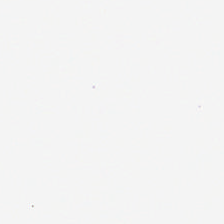WSI patch; FFPE tissue section; H&E — Field content = background (no tissue).
